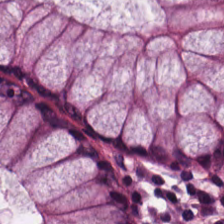Stain: hematoxylin and eosin.
Predominant tissue: normal colon mucosa.
